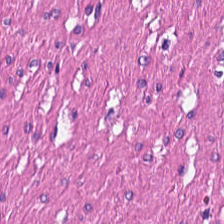Hematoxylin-and-eosin stained section — Tissue class — smooth-muscle tissue.
